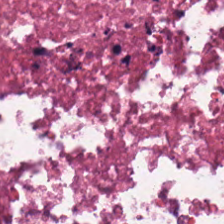Hematoxylin and eosin; brightfield microscopy — The predominant tissue is cellular debris.
